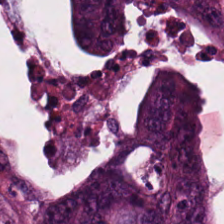Hematoxylin-and-eosin stained section · brightfield · 20× equivalent magnification.
Tissue type = colorectal adenocarcinoma epithelium.
